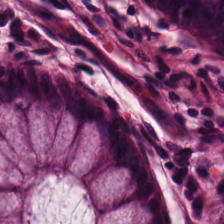Tissue: normal colonic mucosa.
